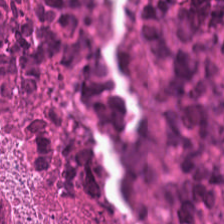Hematoxylin and eosin.
The tissue is necrotic debris.
